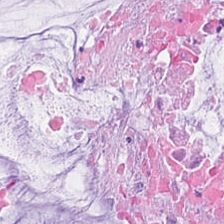H&E. Predominantly extracellular mucin.
